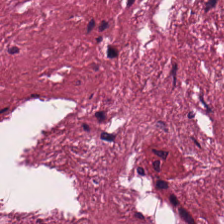Hematoxylin-and-eosin stained section. Impression → tumor stroma.
